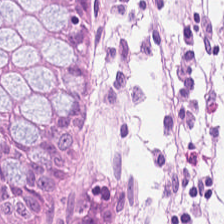Stain: H&E-stained tissue section.
Tile size: 224×224 px patch.
Preparation: FFPE.
Tissue: normal colonic mucosa.
